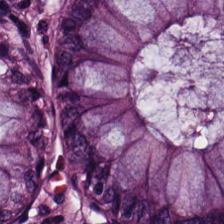Hematoxylin-and-eosin stained section. {"tissue_type": "normal colonic mucosa"}
